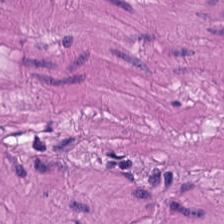224×224 px tile. FFPE tissue section. Hematoxylin and eosin — Histology → smooth muscle.
